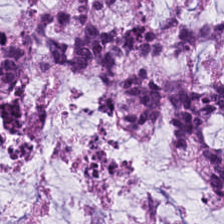0.5 µm per pixel. H&E stain. The tissue here is mucus.
